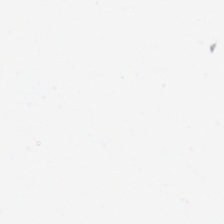Stain: hematoxylin-and-eosin stained section.
Classification: empty background.
